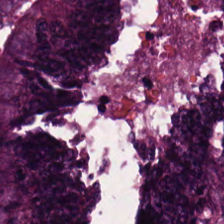H&E stain; 224×224 pixel tile; 0.5 µm/px — The classification is tumor epithelium.
